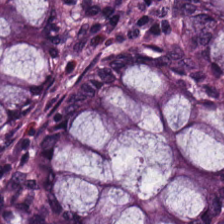This patch shows normal colonic mucosa.
